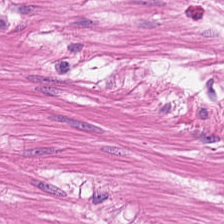FFPE. H&E. Brightfield — {"tissue_type": "smooth-muscle tissue"}
